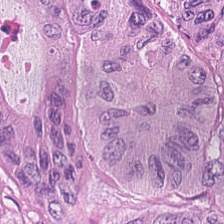H&E-stained tissue section showing adenocarcinoma.
